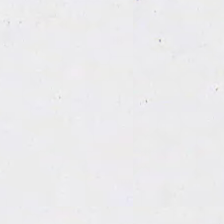{"content": "background"}
